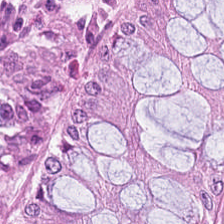Stain: H&E-stained tissue section.
Tissue class: normal colon mucosa.
